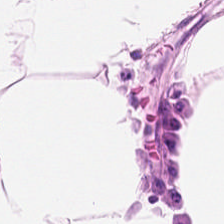0.5 microns per pixel. H&E stain.
Adipocytes.
